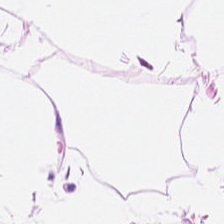WSI patch · H&E. The predominant tissue is adipocytes.
